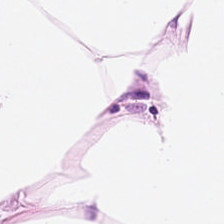H&E-stained tissue section.
Classification — adipocytes.
